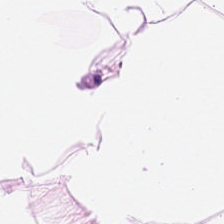Hematoxylin-and-eosin stained section — The predominant tissue is adipocytes.
